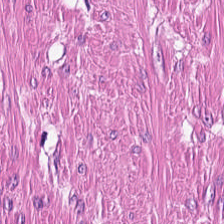Histology — smooth muscle.
